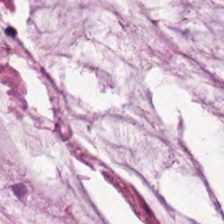H&E. 224×224 px patch. Whole-slide-image patch.
The tissue here is extracellular mucin.
